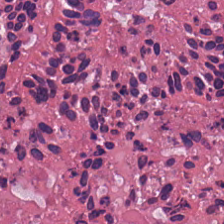H&E stain — {"tissue_type": "debris"}
